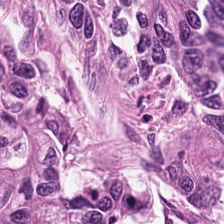Classification: malignant epithelium.
